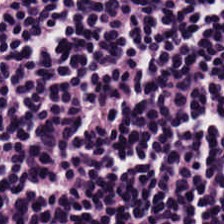H&E — Q: What tissue is shown?
A: Lymphocytes.
